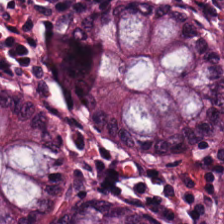H&E — Q: What does this patch show?
A: Normal colon mucosa.
